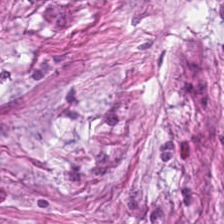Histology — tumor-associated stroma.
